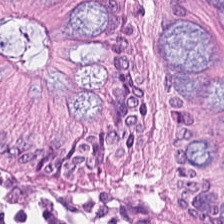H&E. Q: What tissue is shown?
A: It is normal colon mucosa.
